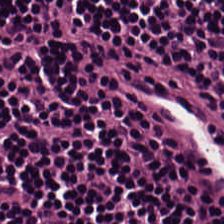H&E-stained tissue section.
Predominantly lymphoid infiltrate.
